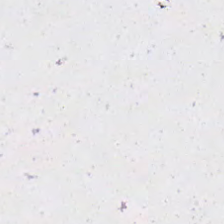Hematoxylin and eosin — Impression → no tissue.
